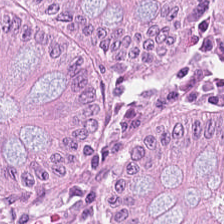Hematoxylin and eosin. This field is non-neoplastic colon mucosa.
